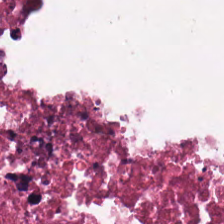Stain: hematoxylin and eosin.
Tissue: necrotic debris.
